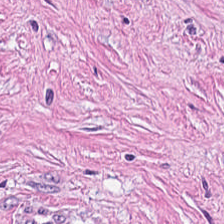Hematoxylin-and-eosin stained section · FFPE tissue section — Q: What tissue is shown?
A: This is cancer-associated stroma.
